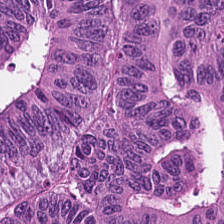Stain: H&E.
Tissue: colorectal adenocarcinoma.
